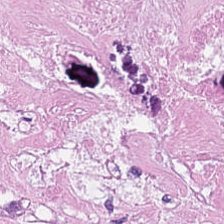H&E stain.
Histology → cellular debris.
